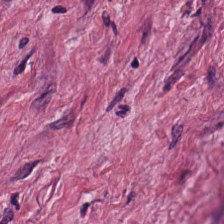Tissue — tumor-associated stroma.
